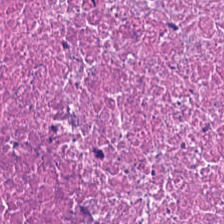Predominant tissue: debris.
